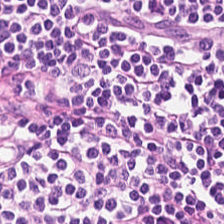Q: What tissue is shown?
A: This is lymphoid infiltrate.
